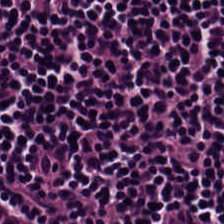Hematoxylin-and-eosin stained section. Lymphocytic infiltrate.
